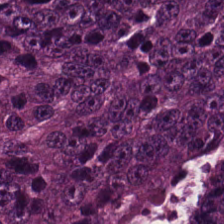Hematoxylin and eosin.
Classification — colorectal adenocarcinoma epithelium.
